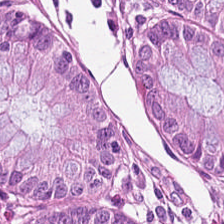0.5 µm/px. H&E — Predominant tissue = normal colon mucosa.
